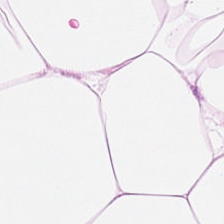Hematoxylin-and-eosin stained section.
Tissue class — adipose tissue.
